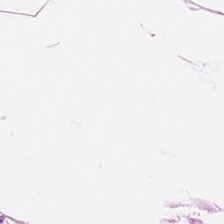H&E. The classification is adipose tissue.
